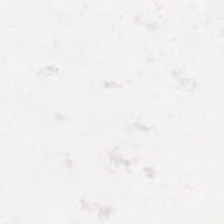H&E stain. Q: Classify this patch.
A: No tissue.
